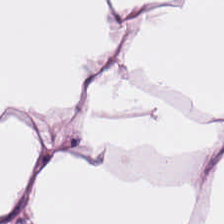224×224 pixel tile · hematoxylin and eosin. Showing fat tissue.
